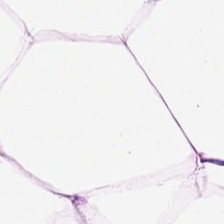This patch shows adipose tissue.
